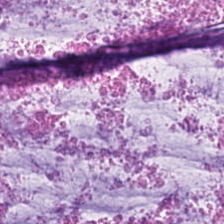H&E-stained tissue section. The tissue class is mucus.
